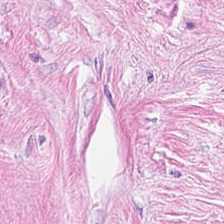Predominant tissue: cancer-associated stroma.
